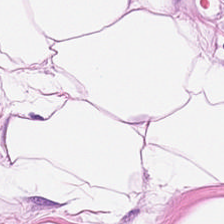H&E-stained tissue section.
Predominant tissue — adipose tissue.
